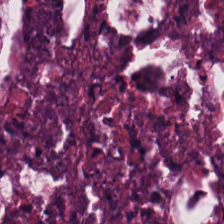H&E — Q: What is shown in this field?
A: Cellular debris.
